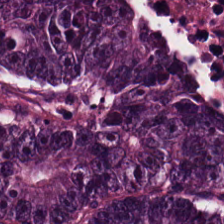Q: What does this patch show?
A: Adenocarcinoma.
